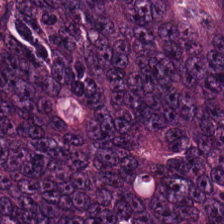The predominant tissue is colorectal adenocarcinoma.
